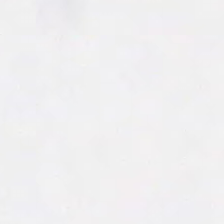Field content — no tissue.
